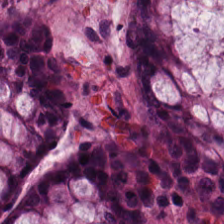H&E stain.
Histology — normal colon mucosa.
